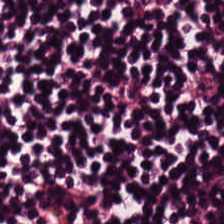This patch shows lymphocytes.
